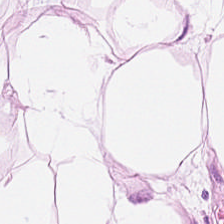WSI patch. Hematoxylin-and-eosin stained section — This field is adipocytes.
